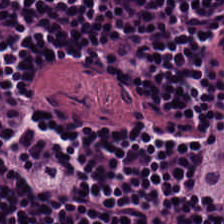H&E-stained tissue section. This patch shows lymphocytes.
